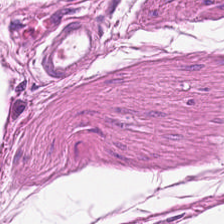H&E.
The tissue type is muscularis.
